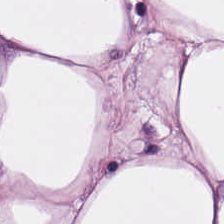Stain: H&E.
Predominant tissue: fat tissue.
